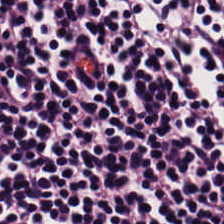Stain: H&E.
Tissue type: lymphocyte aggregate.
